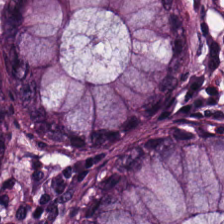Q: What type of tissue is this?
A: This is normal colon mucosa.
